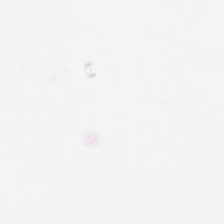Field content: no tissue.
